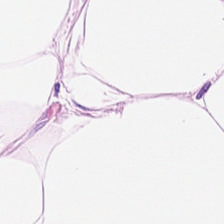224×224 pixel tile · hematoxylin and eosin.
Finding → adipose.
